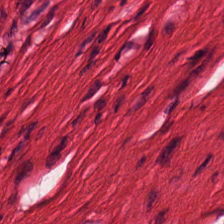H&E.
{"tissue_type": "muscularis"}
